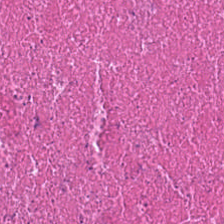Tissue type — debris.
